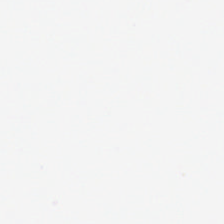Q: What does this patch show?
A: The field shows background (no tissue).
